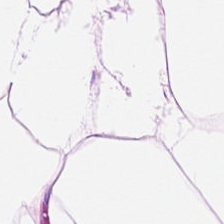Stain: H&E-stained tissue section.
Acquisition: brightfield.
Tissue: fat tissue.
